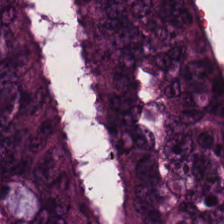This patch shows adenocarcinoma.
